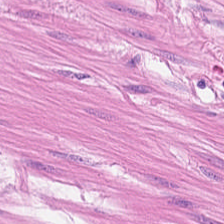FFPE tissue section. 0.5 µm per pixel. H&E — Predominantly smooth-muscle tissue.
